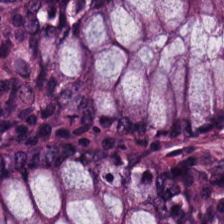H&E-stained tissue section; formalin-fixed paraffin-embedded section; WSI patch.
The tissue is non-neoplastic colon mucosa.
